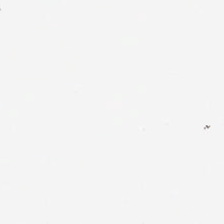Hematoxylin and eosin; FFPE tissue section — Background — no tissue in this field.
